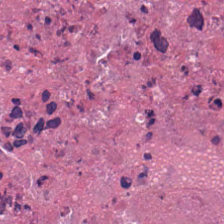Stain: H&E.
Classification: necrotic debris.
